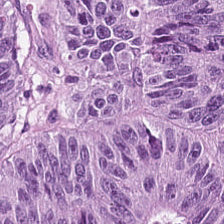The tissue here is tumor epithelium.
